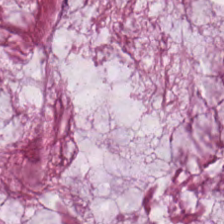H&E-stained tissue section showing mucus.
